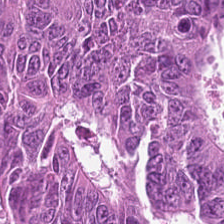Hematoxylin and eosin. Classification — colorectal adenocarcinoma epithelium.
